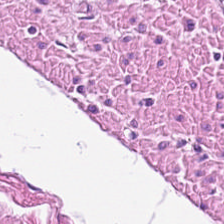WSI patch · hematoxylin and eosin. This patch shows smooth-muscle tissue.
